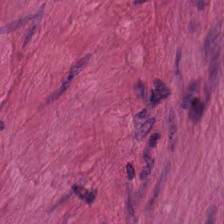224×224 px patch. 0.5 µm per pixel. Hematoxylin-and-eosin stained section.
Predominantly smooth-muscle tissue.
